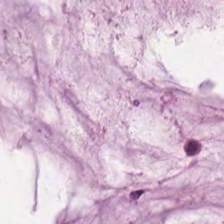H&E stain — The predominant tissue is extracellular mucin.
